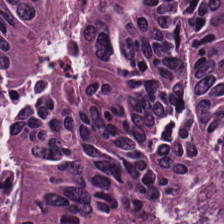H&E-stained tissue section. 224×224 pixel tile — Classification: tumor epithelium.
